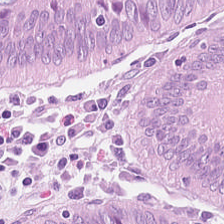H&E stain.
Tissue class: normal colonic mucosa.
